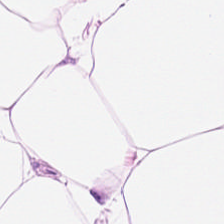H&E — Tissue — fat tissue.
